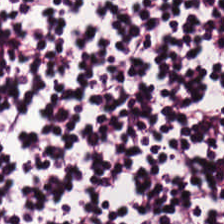0.5 µm per pixel · H&E stain · whole-slide-image patch. {"tissue_type": "lymphocytes"}
